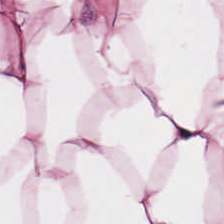Stain: H&E.
Classification: adipose.
